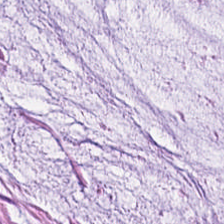This patch shows mucus.
